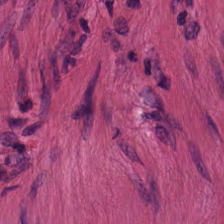Hematoxylin-and-eosin stained section. 224×224 pixel tile. Whole-slide-image patch.
Classification — muscularis.
